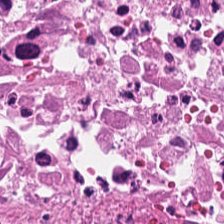Hematoxylin-and-eosin stained section. Tissue = cellular debris.
